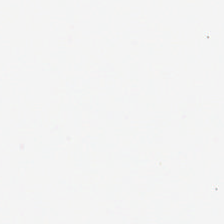Brightfield · formalin-fixed paraffin-embedded section · hematoxylin-and-eosin stained section.
Empty field — background.
